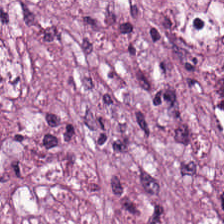Stain: hematoxylin and eosin.
Preparation: formalin-fixed paraffin-embedded section.
Predominant tissue: desmoplastic stroma.
